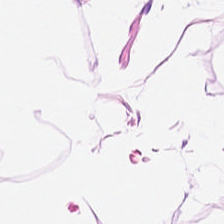H&E-stained tissue section — Classification — adipocytes.
